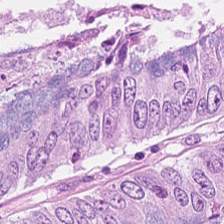H&E. The tissue here is adenocarcinoma.
